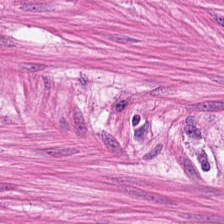224×224 pixel tile; H&E.
Q: Classify this patch.
A: Smooth-muscle tissue.
